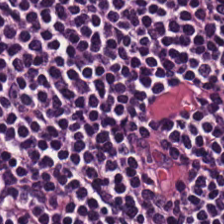FFPE; H&E; WSI patch — This field is lymphoid infiltrate.
